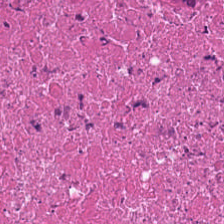224×224 px tile. Hematoxylin and eosin.
Q: What does this patch show?
A: It is necrotic debris.
